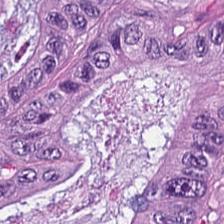0.5 µm/px · FFPE tissue section · H&E. Tissue type = malignant epithelium.
